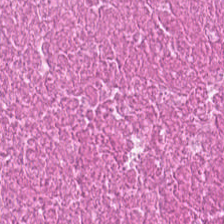Hematoxylin and eosin. WSI patch. Formalin-fixed paraffin-embedded section. Q: Identify the tissue.
A: The field shows debris.
